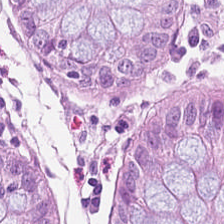H&E stain — The tissue here is benign colonic mucosa.
